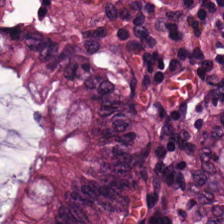H&E stain. 224×224 px patch — Q: What tissue type is shown here?
A: Benign colonic mucosa.
